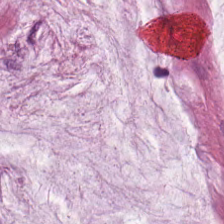H&E stain.
The tissue type is extracellular mucin.
